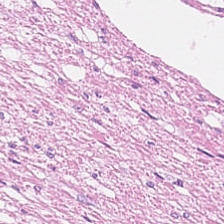Hematoxylin and eosin; formalin-fixed paraffin-embedded section — Classification: smooth-muscle tissue.
